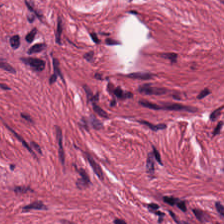Hematoxylin and eosin — Q: What is shown in this field?
A: The field shows tumor-associated stroma.
